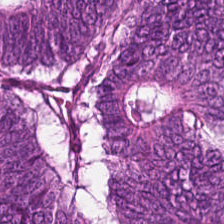Stain: hematoxylin and eosin.
Acquisition: brightfield microscopy.
Preparation: FFPE.
Tissue: colorectal adenocarcinoma.
